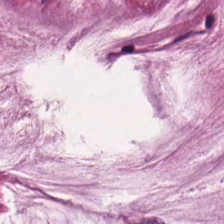20× equivalent magnification; FFPE; H&E stain — Q: What tissue is shown?
A: It is mucus.
